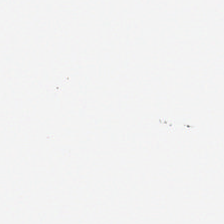Hematoxylin-and-eosin stained section. No tissue.
